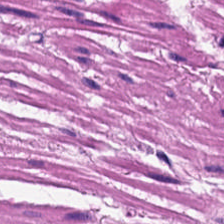Whole-slide-image patch; H&E-stained tissue section — This field is muscularis.
